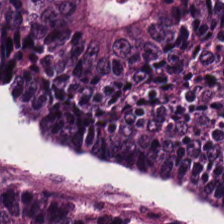Formalin-fixed paraffin-embedded section; hematoxylin-and-eosin stained section — Q: What is shown in this field?
A: Colorectal adenocarcinoma.
